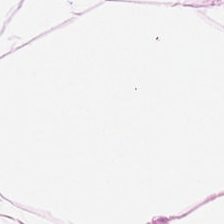Hematoxylin-and-eosin stained section — Tissue type = fat tissue.
